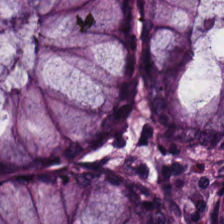H&E. Non-neoplastic colon mucosa.
